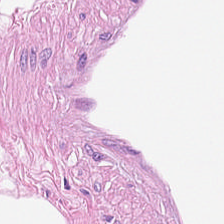H&E stain — Classification — adipocytes.
